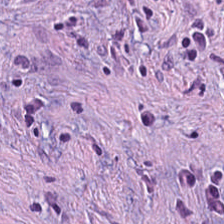H&E-stained tissue section; 0.5 µm per pixel. This field is tumor stroma.
